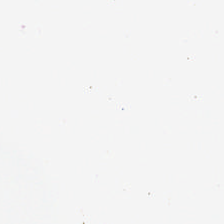H&E. 224×224 pixel tile. 20× equivalent magnification — Background — no tissue in this field.
